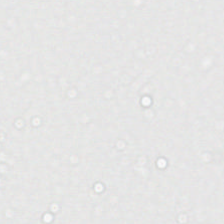No tissue.
